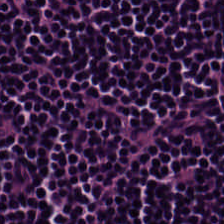Formalin-fixed paraffin-embedded section; H&E stain.
{"tissue_type": "lymphocyte aggregate"}
